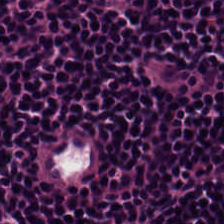Whole-slide-image patch. H&E-stained tissue section. 20× equivalent magnification — Lymphocytic infiltrate.
